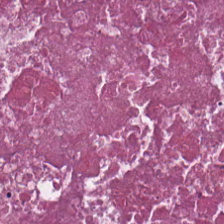FFPE; hematoxylin and eosin. The tissue here is debris.
